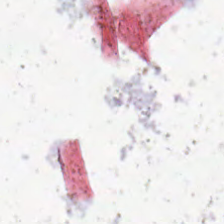Stain: hematoxylin-and-eosin stained section.
Content: no tissue.
